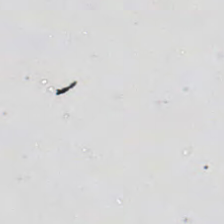Hematoxylin-and-eosin stained section.
The classification is empty background.
